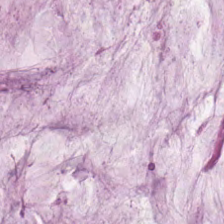H&E-stained tissue section.
Predominantly mucus.
